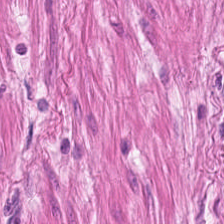224×224 pixel tile. H&E-stained tissue section. Brightfield microscopy.
{"tissue_type": "smooth-muscle tissue"}
